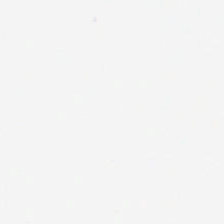Impression → empty background.
